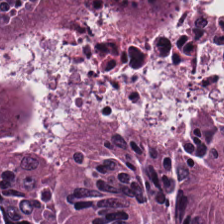FFPE tissue section. Hematoxylin and eosin — Q: What tissue type is shown here?
A: This is tumor epithelium.
